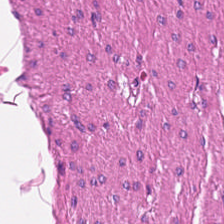FFPE tissue section; H&E-stained tissue section.
Q: What type of tissue is this?
A: Smooth muscle.
